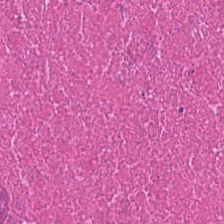Hematoxylin-and-eosin stained section.
Tissue class: debris.
